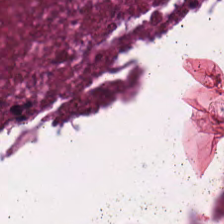{"tissue_type": "debris"}
